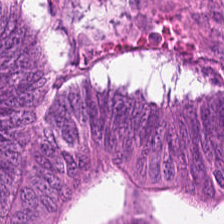Hematoxylin-and-eosin stained section. Whole-slide-image patch. 20× equivalent magnification — Q: What tissue is shown?
A: This is colorectal adenocarcinoma epithelium.
